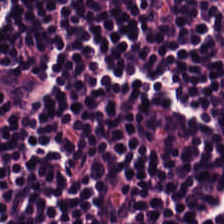Classification = lymphoid infiltrate.
